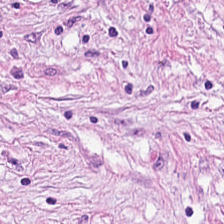H&E.
This patch shows tumor-associated stroma.
